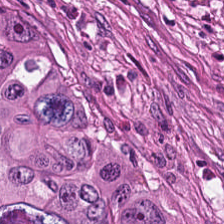0.5 microns per pixel; hematoxylin-and-eosin stained section — This patch shows colorectal adenocarcinoma.
